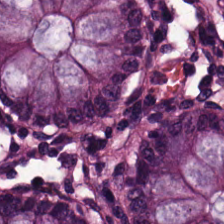Q: What is shown here?
A: The field shows non-neoplastic colon mucosa.
